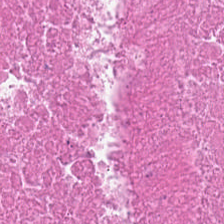H&E.
This field is debris.
